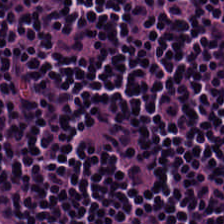Hematoxylin and eosin. Lymphocytes.
